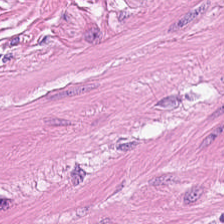H&E-stained tissue section showing smooth muscle.
